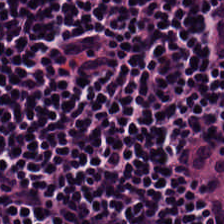Q: What tissue is shown?
A: This is lymphoid infiltrate.
